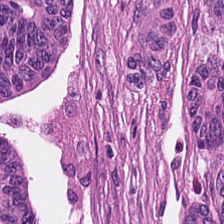H&E — Histology → malignant epithelium.
